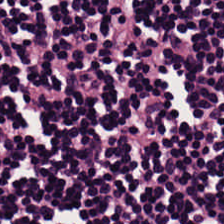Classification — lymphoid infiltrate.
